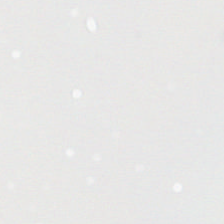FFPE; hematoxylin-and-eosin stained section. The classification is empty background.
